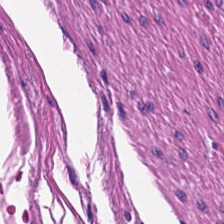Whole-slide-image patch. Hematoxylin and eosin. Formalin-fixed paraffin-embedded section — Impression — muscularis.
